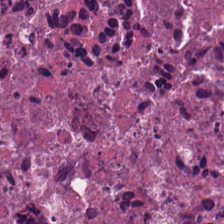Brightfield microscopy; hematoxylin-and-eosin stained section.
The predominant tissue is cellular debris.
